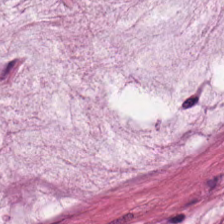H&E-stained tissue section — {"tissue_type": "mucus"}
